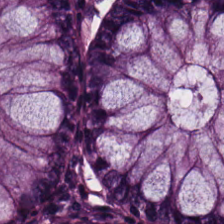H&E-stained tissue section · 0.5 microns per pixel.
Tissue = normal colon mucosa.
